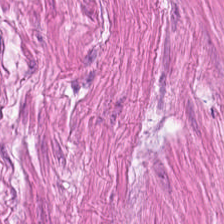Brightfield microscopy. Hematoxylin-and-eosin stained section — Classification — muscularis.
